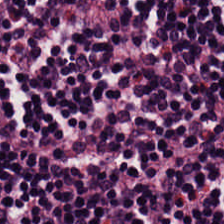0.5 µm/px · H&E stain.
Q: Identify the tissue.
A: This is lymphocytic infiltrate.
